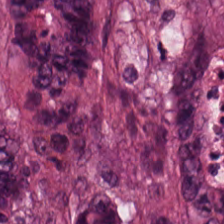Stain: hematoxylin-and-eosin stained section.
Tissue type: colorectal adenocarcinoma epithelium.
